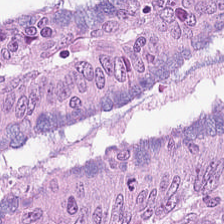Hematoxylin and eosin.
Finding — colorectal adenocarcinoma epithelium.
